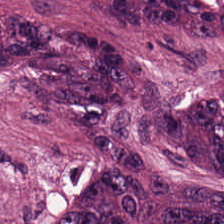Stain: H&E-stained tissue section.
Tissue: tumor epithelium.
